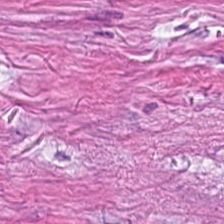H&E stain · brightfield.
{"tissue_type": "cancer-associated stroma"}
